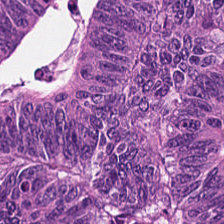H&E — Tissue: malignant epithelium.
